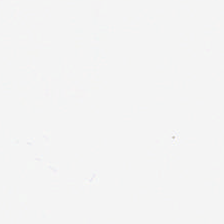Hematoxylin-and-eosin stained section.
Impression → empty background.
